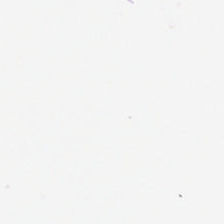0.5 µm per pixel; 224×224 pixel tile; H&E stain.
No tissue present; background only.
